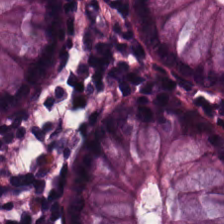H&E-stained section; the field shows benign colonic mucosa.
